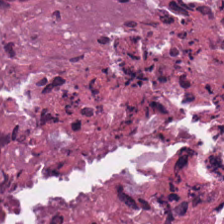0.5 µm per pixel · WSI patch · H&E. Q: What does this patch show?
A: The field shows cellular debris.
